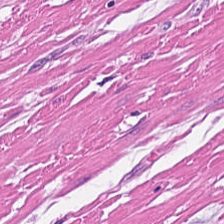FFPE · H&E-stained tissue section · brightfield.
Classification — smooth muscle.
